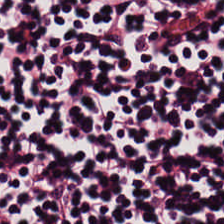H&E-stained tissue section. Q: Identify the tissue.
A: It is lymphocytes.
